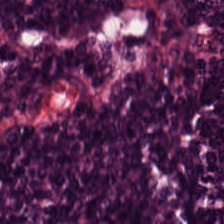Hematoxylin and eosin — Predominantly lymphocyte aggregate.
